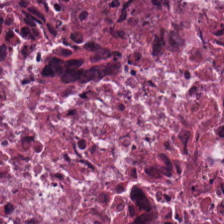Stain: hematoxylin-and-eosin stained section.
Acquisition: whole-slide-image patch.
Tissue class: necrotic debris.
